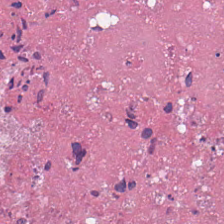Hematoxylin and eosin · 0.5 microns per pixel.
Q: What tissue type is shown here?
A: Debris.
